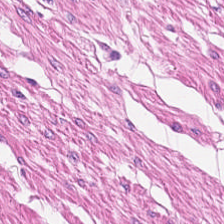Classification: smooth muscle.
